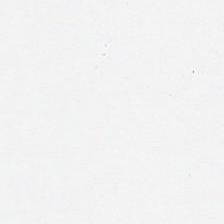Field content = empty background.
